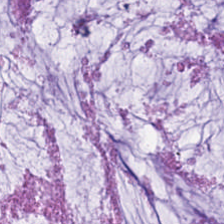Hematoxylin and eosin; 20× equivalent magnification.
The predominant tissue is mucus.
